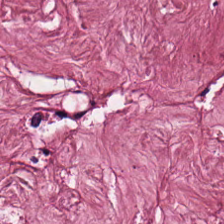FFPE tissue section; H&E stain; WSI patch.
Q: What tissue is shown?
A: Cancer-associated stroma.
